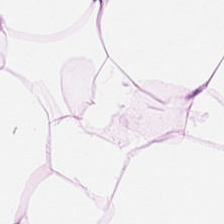Q: What type of tissue is this?
A: It is adipose tissue.
